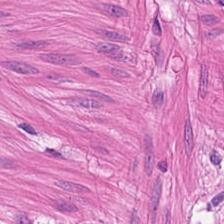Hematoxylin and eosin — This field is muscularis.
